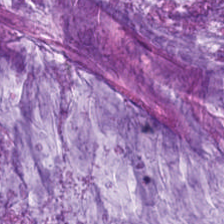Predominant tissue = mucus.
